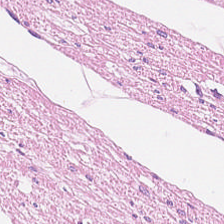Formalin-fixed paraffin-embedded section; H&E.
This patch shows muscularis.
